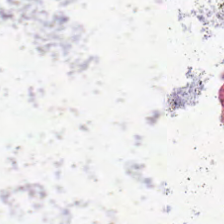Hematoxylin-and-eosin stained section. Brightfield microscopy.
The classification is no tissue.
